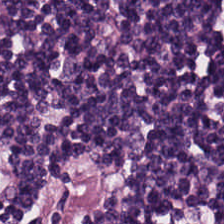FFPE. Brightfield. H&E stain. Histology — lymphocytes.
